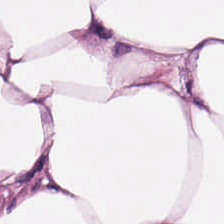0.5 µm/px. H&E. FFPE tissue section.
Classification: fat tissue.
